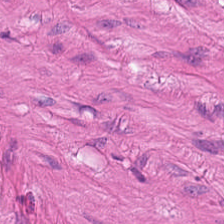H&E. 0.5 microns per pixel.
Tissue type: muscularis.
